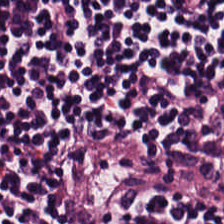224×224 px tile · hematoxylin and eosin.
Tissue: lymphocytic infiltrate.
